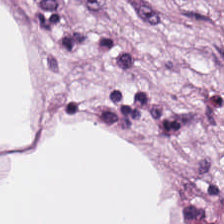Hematoxylin-and-eosin stained section. The tissue is fat tissue.
